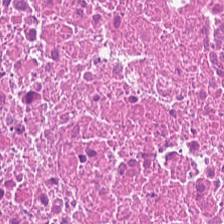H&E stain. FFPE tissue section — Q: What is shown in this field?
A: It is debris.
